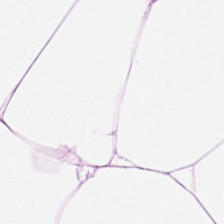224×224 px patch; hematoxylin and eosin; whole-slide-image patch — Predominantly adipocytes.
